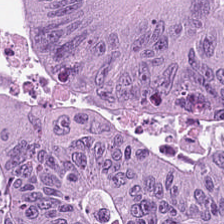Stain: H&E-stained tissue section.
Classification: colorectal adenocarcinoma.
